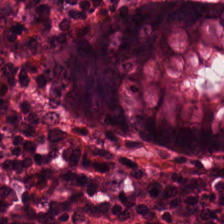Stain: H&E-stained tissue section.
Tissue type: non-neoplastic colon mucosa.
